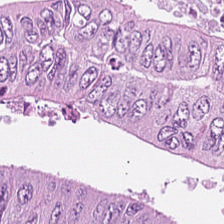H&E. WSI patch — The predominant tissue is colorectal adenocarcinoma.
